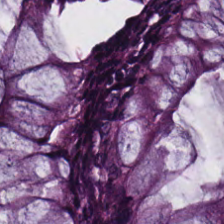20× equivalent magnification. H&E stain — Q: Identify the tissue.
A: The field shows normal colon mucosa.
